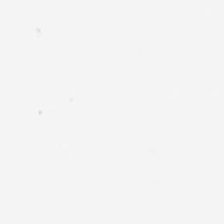H&E · 224×224 px tile · 0.5 µm per pixel — Q: Classify this patch.
A: This is background.
